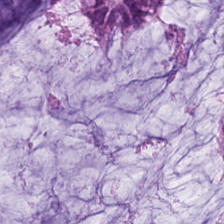Hematoxylin-and-eosin stained section.
This field is extracellular mucin.
